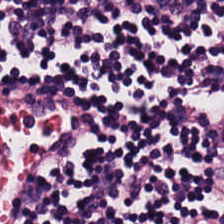Brightfield microscopy · hematoxylin-and-eosin stained section · 0.5 microns per pixel — Predominant tissue = lymphocyte aggregate.
